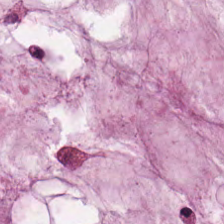Q: Identify the tissue.
A: The field shows mucin.
